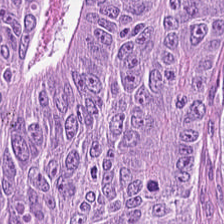H&E · 224×224 pixel tile. Predominantly tumor epithelium.
